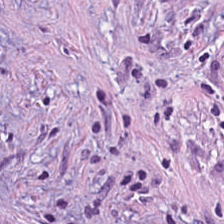H&E-stained tissue section — Q: Identify the tissue.
A: The field shows cancer-associated stroma.
